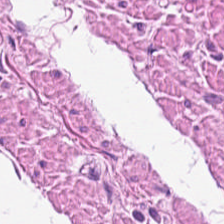H&E-stained section; the field shows smooth-muscle tissue.
